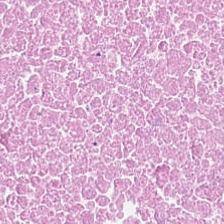Stain: hematoxylin-and-eosin stained section.
Tissue type: debris.
